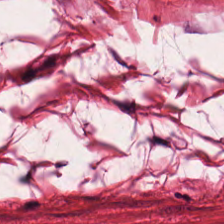Showing smooth muscle.
